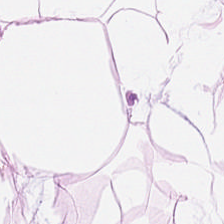H&E-stained tissue section · WSI patch. This patch shows adipose tissue.
